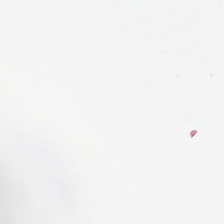The classification is background.
